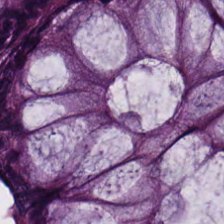20× equivalent magnification · hematoxylin and eosin. Classification — non-neoplastic colon mucosa.
